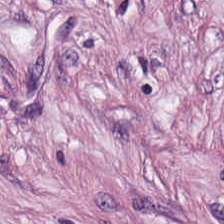Hematoxylin and eosin — Tissue type = tumor stroma.
